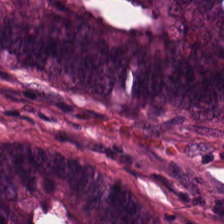Stain: H&E stain.
Classification: adenocarcinoma.
